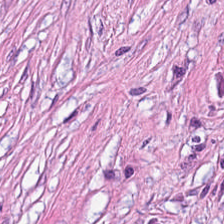0.5 microns per pixel · H&E-stained tissue section. The predominant tissue is tumor stroma.
